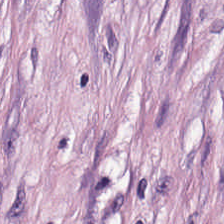{"tissue_type": "cancer-associated stroma"}
